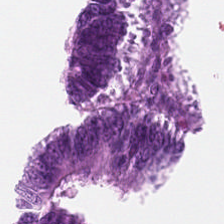20× equivalent magnification. Hematoxylin-and-eosin stained section. FFPE.
Impression — background.
